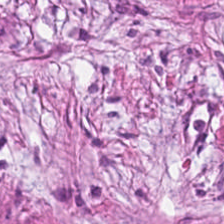Q: What is shown in this field?
A: It is cancer-associated stroma.
